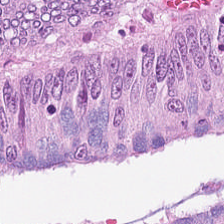Hematoxylin-and-eosin stained section — Predominantly colorectal adenocarcinoma.
